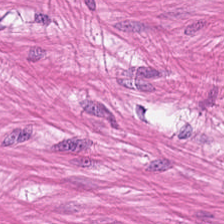Hematoxylin and eosin · 224×224 px tile — Q: Identify the tissue.
A: This is smooth muscle.
